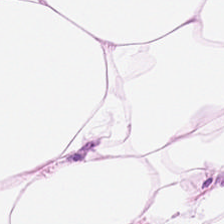Hematoxylin and eosin. Q: Classify this patch.
A: The field shows adipose.
